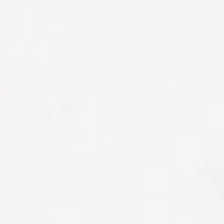H&E.
Q: What does this patch show?
A: Empty background.
